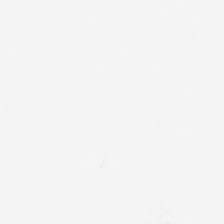FFPE; hematoxylin and eosin; 224×224 pixel tile — Content = background (no tissue).
